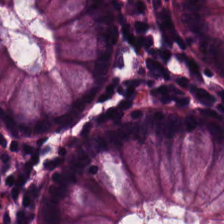0.5 µm/px; formalin-fixed paraffin-embedded section; H&E-stained tissue section — Tissue type = benign colonic mucosa.
